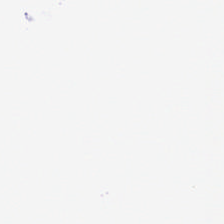224×224 px patch; H&E-stained tissue section; WSI patch.
This field is background (no tissue).
